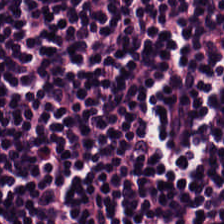The classification is lymphocytes.
